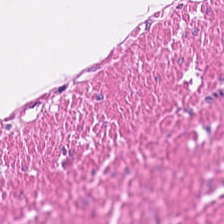Stain: H&E stain.
Resolution: 20× equivalent magnification.
Tissue type: muscularis.
